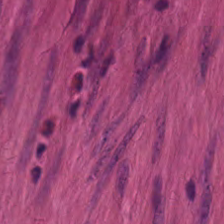H&E-stained tissue section.
Showing smooth muscle.
